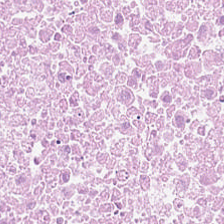FFPE. H&E — Histology — cellular debris.
